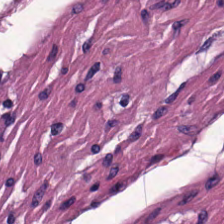Stain: H&E stain.
Predominant tissue: smooth muscle.
